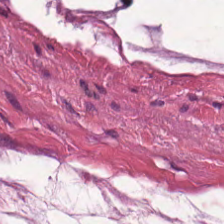224×224 px tile; FFPE tissue section; H&E-stained tissue section.
{"tissue_type": "mucin"}
